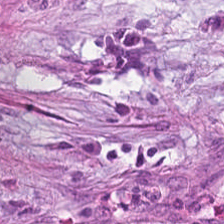Hematoxylin-and-eosin stained section; 224×224 px patch — This patch shows cancer-associated stroma.
